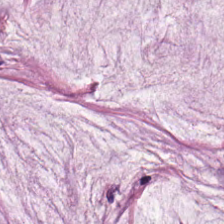H&E.
This field is mucus.
